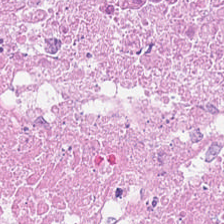Stain: H&E-stained tissue section.
Resolution: 20× equivalent magnification.
Classification: debris.
